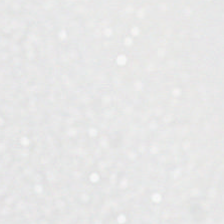Formalin-fixed paraffin-embedded section · H&E — Background — no tissue in this field.
